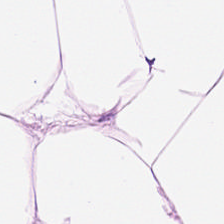0.5 microns per pixel; hematoxylin and eosin. Histology → adipose tissue.
